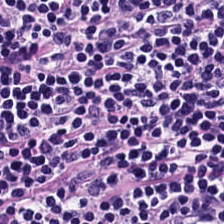Q: What tissue type is shown here?
A: Lymphocytic infiltrate.
